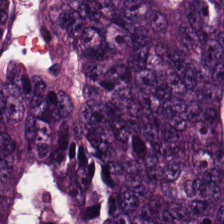H&E stain — Q: Identify the tissue.
A: The field shows adenocarcinoma.
